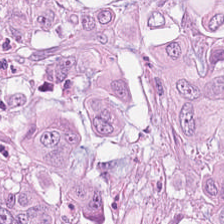H&E-stained tissue section.
Classification: adenocarcinoma.
